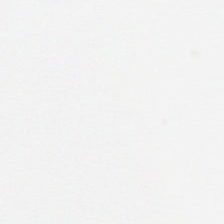0.5 µm/px · hematoxylin and eosin · 224×224 px tile.
The content is empty background.
